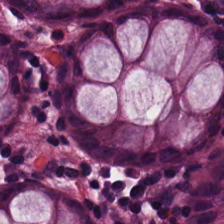{"tissue_type": "non-neoplastic colon mucosa"}
